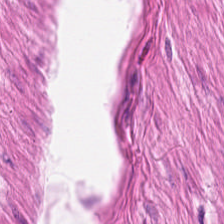20× equivalent magnification. Hematoxylin and eosin. 224×224 pixel tile.
Classification = muscularis.
